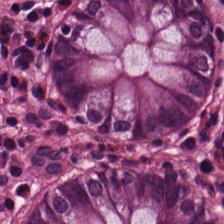This patch shows non-neoplastic colon mucosa.
